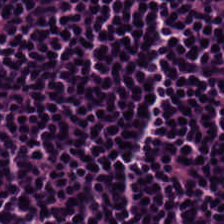This field is lymphoid infiltrate.
